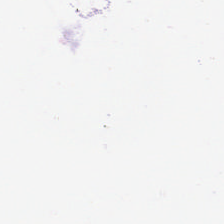Content: no tissue.
